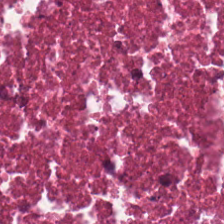Hematoxylin-and-eosin stained section — Finding — debris.
